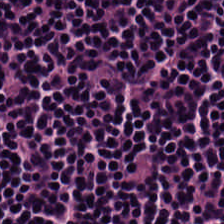Hematoxylin and eosin. 0.5 µm/px.
Predominant tissue: lymphocytes.
